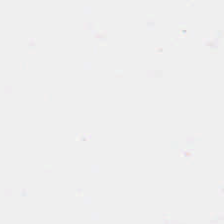Hematoxylin and eosin. This patch shows no tissue.
